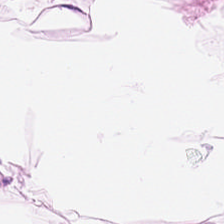H&E-stained tissue section. This patch shows adipose.
